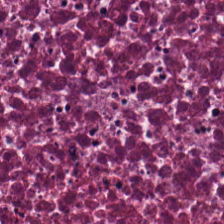Hematoxylin and eosin — Showing cellular debris.
